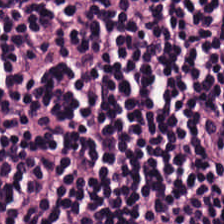Hematoxylin and eosin; 224×224 px patch. Tissue: lymphocytic infiltrate.
